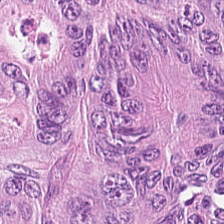H&E stain. 0.5 µm/px.
Classification = colorectal adenocarcinoma.
